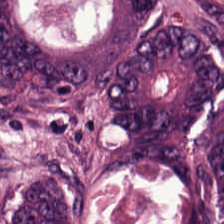Tissue: colorectal adenocarcinoma epithelium.
